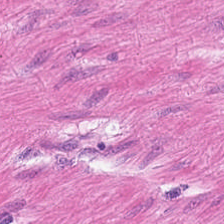H&E stain.
This patch shows smooth-muscle tissue.
